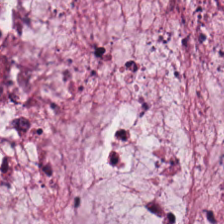H&E stain.
{"tissue_type": "mucus"}
